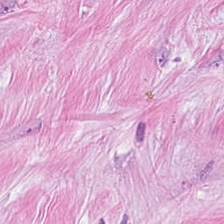FFPE; hematoxylin-and-eosin stained section.
Cancer-associated stroma.
